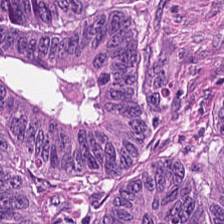FFPE · hematoxylin-and-eosin stained section.
The predominant tissue is colorectal adenocarcinoma epithelium.
